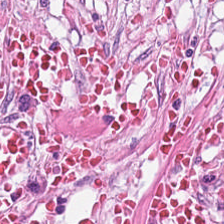The tissue here is desmoplastic stroma.
